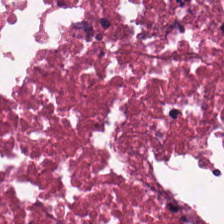Predominant tissue = cellular debris.
